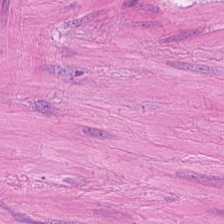224×224 px tile; hematoxylin and eosin; formalin-fixed paraffin-embedded section — Muscularis.
